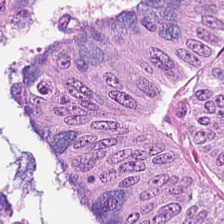This field is tumor epithelium.
